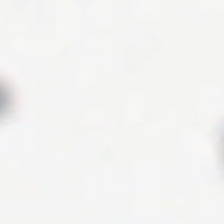Finding — background.
